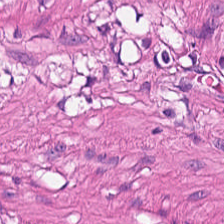Q: Classify this patch.
A: Smooth muscle.
